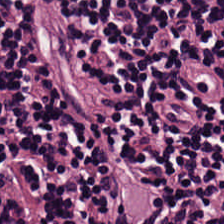224×224 px patch. Hematoxylin-and-eosin stained section. Tissue type: lymphocytes.
